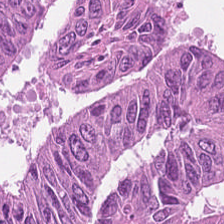Hematoxylin and eosin. Q: What does this patch show?
A: It is colorectal adenocarcinoma.
